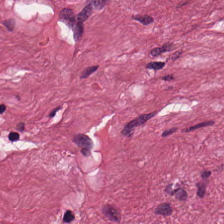Stain: hematoxylin and eosin.
Tissue: desmoplastic stroma.
